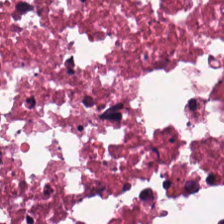Tissue: debris.
